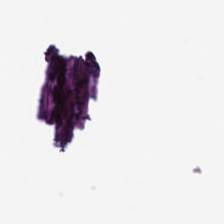Hematoxylin-and-eosin stained section. Background — no tissue in this field.
